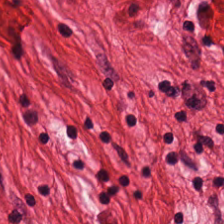{"tissue_type": "smooth-muscle tissue"}
